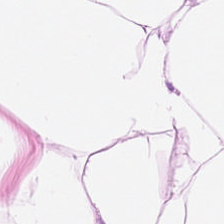H&E — Tissue — fat tissue.
